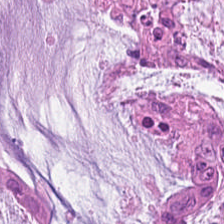20× equivalent magnification. H&E.
This field is mucin.
